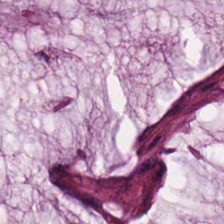This field is mucin.
